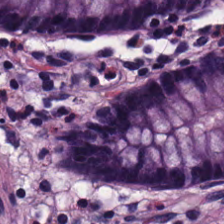Hematoxylin-and-eosin stained section — Normal colon mucosa.
